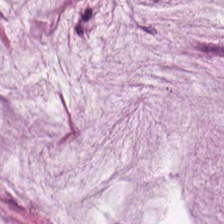H&E-stained tissue section. {"tissue_type": "mucus"}
